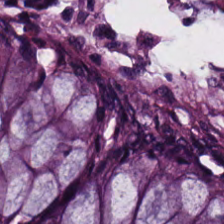H&E stain; 0.5 microns per pixel.
Showing normal colon mucosa.
